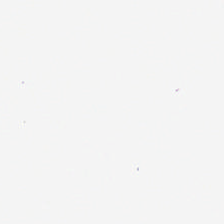H&E · FFPE. Background — no tissue in this field.
